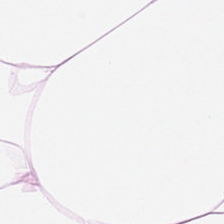Histology — adipose.
